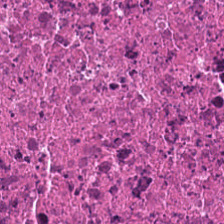FFPE tissue section. H&E-stained tissue section.
Tissue type — debris.
